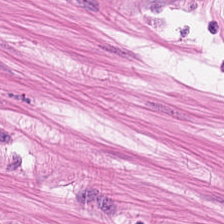Hematoxylin-and-eosin stained section — This patch shows muscularis.
